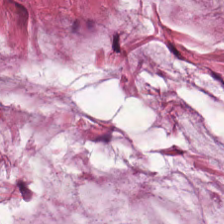Hematoxylin-and-eosin stained section. Finding → mucin.
